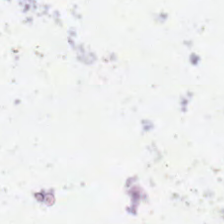Stain: H&E.
Classification: no tissue.
